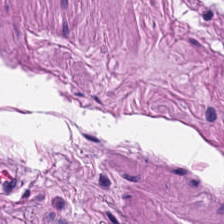Smooth-muscle tissue.
